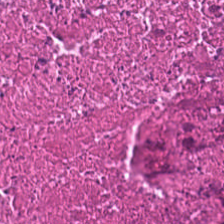224×224 px patch · hematoxylin-and-eosin stained section — Q: What tissue is shown?
A: It is debris.
